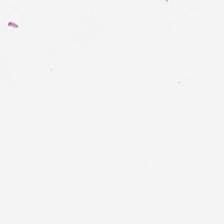Stain: H&E stain.
Content: background.
